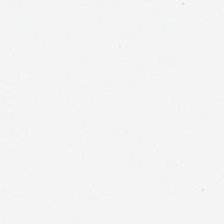No tissue present; background only.
